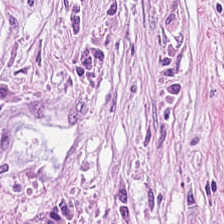H&E stain. Q: Classify this patch.
A: The field shows tumor-associated stroma.
